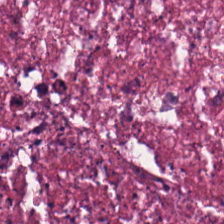H&E-stained tissue section — Finding → cellular debris.
